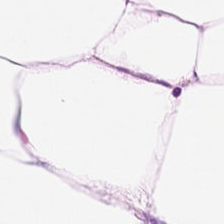WSI patch · 224×224 px tile · H&E — This field is adipose tissue.
